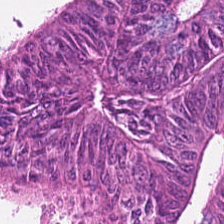H&E-stained tissue section · FFPE.
This field is colorectal adenocarcinoma.
